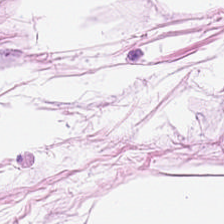Hematoxylin-and-eosin stained section — Showing adipocytes.
